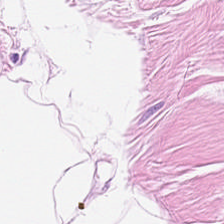H&E-stained tissue section.
{"tissue_type": "adipose"}
